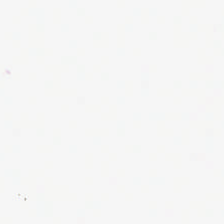This field is background (no tissue).
